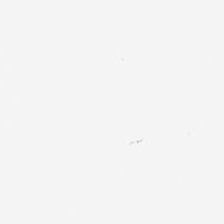Hematoxylin-and-eosin stained section · 224×224 px patch — Q: What does this patch show?
A: The field shows empty background.
